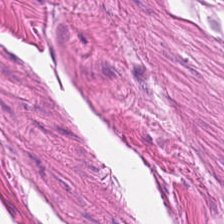224×224 px patch · hematoxylin and eosin. Muscularis.
